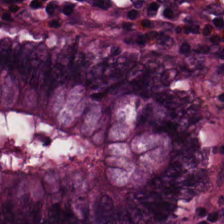H&E stain. Showing normal colon mucosa.
